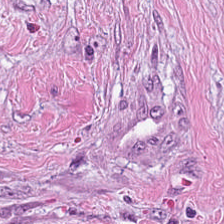Q: Classify this patch.
A: The field shows desmoplastic stroma.
